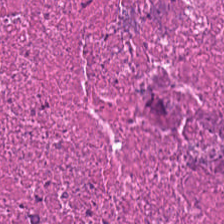Q: Identify the tissue.
A: Necrotic debris.
